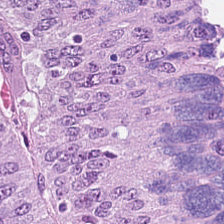Hematoxylin-and-eosin stained section; 224×224 px patch. Classification — malignant epithelium.
